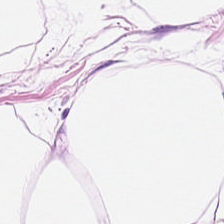FFPE tissue section; hematoxylin-and-eosin stained section; 0.5 µm/px — Histology → adipocytes.
